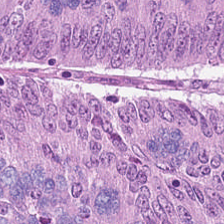0.5 microns per pixel. Hematoxylin-and-eosin stained section — The tissue here is malignant epithelium.
